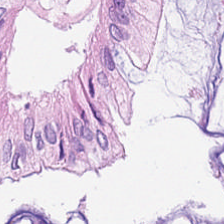H&E stain — The tissue here is normal colonic mucosa.
